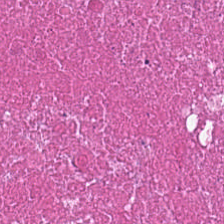Formalin-fixed paraffin-embedded section · H&E stain. The predominant tissue is necrotic debris.
